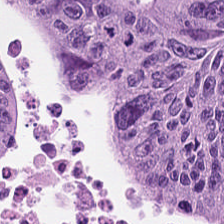Predominant tissue: colorectal adenocarcinoma.
